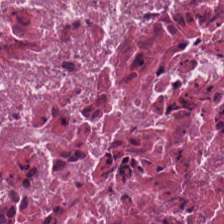WSI patch. H&E stain. {"tissue_type": "necrotic debris"}
